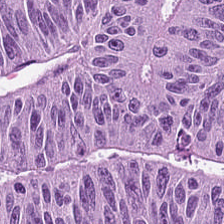224×224 pixel tile · WSI patch · H&E. Histology — malignant epithelium.
